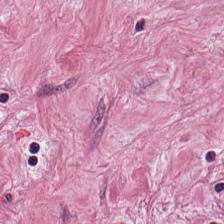0.5 µm/px. H&E stain — The predominant tissue is tumor stroma.
